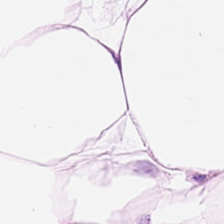Hematoxylin-and-eosin section: adipose tissue.
